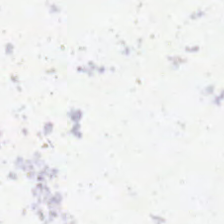Stain: H&E stain.
Preparation: FFPE.
Tile size: 224×224 pixel tile.
Classification: no tissue.
